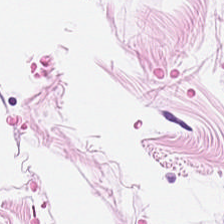H&E stain. This field is fat tissue.
